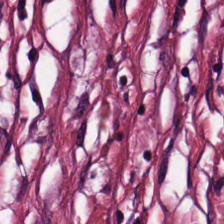H&E — Tumor-associated stroma.
